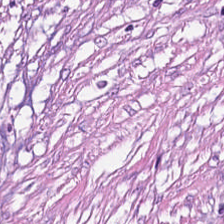Stain: H&E.
Resolution: 0.5 µm per pixel.
Tissue type: tumor stroma.
